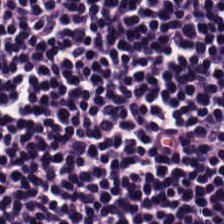Stain: H&E.
Tissue: lymphocytes.
